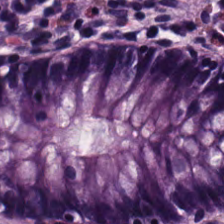{"tissue_type": "normal colonic mucosa"}
